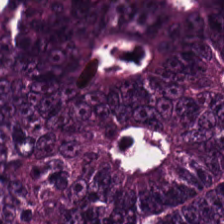Brightfield. FFPE. H&E — Q: What is shown in this field?
A: It is malignant epithelium.
